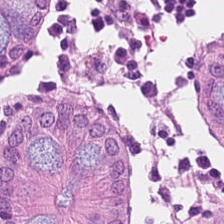Hematoxylin and eosin — Q: What does this patch show?
A: The field shows normal colon mucosa.
